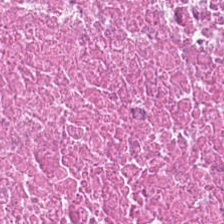0.5 µm/px. H&E stain — Tissue: cellular debris.
